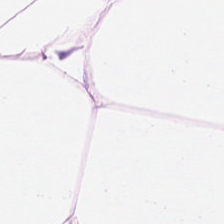Hematoxylin and eosin. This patch shows fat tissue.
